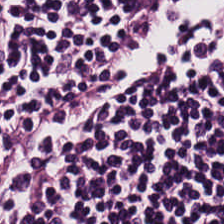20× equivalent magnification; hematoxylin and eosin.
Tissue type — lymphocyte aggregate.
